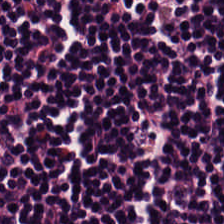Q: Classify this patch.
A: It is lymphoid infiltrate.
